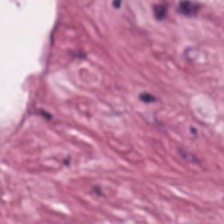Classification = tumor-associated stroma.
